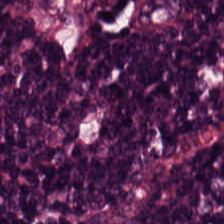H&E-stained tissue section — The tissue is lymphocyte aggregate.
